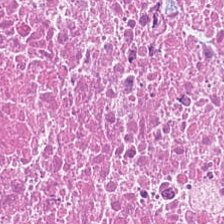0.5 µm/px; hematoxylin and eosin; formalin-fixed paraffin-embedded section. The predominant tissue is cellular debris.
